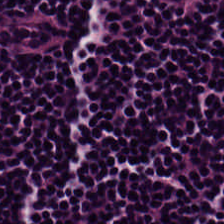Hematoxylin and eosin — The tissue here is lymphocytic infiltrate.
